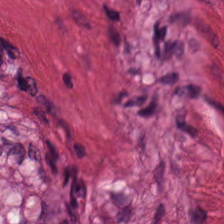WSI patch. FFPE. H&E stain — Predominantly smooth muscle.
